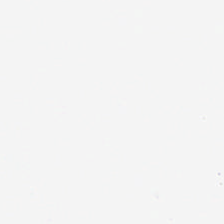Empty field — no tissue.
